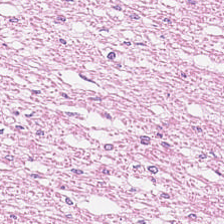H&E-stained tissue section · 224×224 px tile. Tissue class — muscularis.
